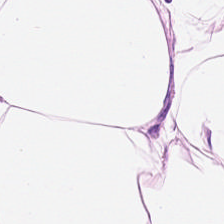224×224 pixel tile; H&E-stained tissue section; formalin-fixed paraffin-embedded section.
{"tissue_type": "adipose tissue"}
